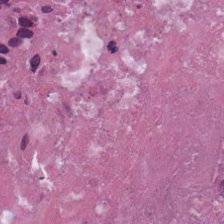The predominant tissue is necrotic debris.
